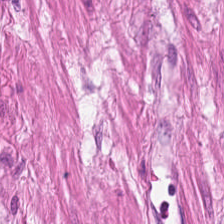Stain: H&E-stained tissue section.
Tile size: 224×224 pixel tile.
Classification: smooth muscle.
